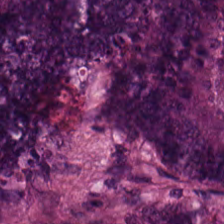Stain: hematoxylin-and-eosin stained section.
Preparation: formalin-fixed paraffin-embedded section.
Tile size: 224×224 pixel tile.
Tissue type: colorectal adenocarcinoma epithelium.
